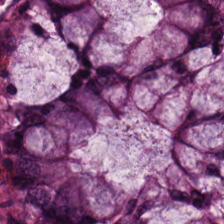Stain: H&E.
Classification: non-neoplastic colon mucosa.
